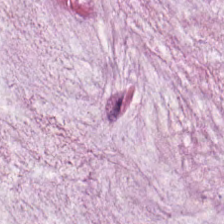The predominant tissue is mucin.
